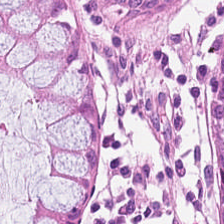Impression → benign colonic mucosa.
